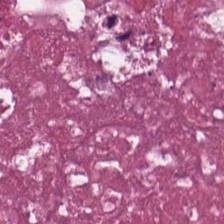H&E stain. {"tissue_type": "cellular debris"}
